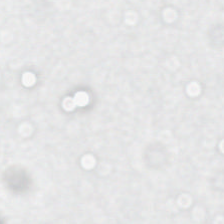H&E — No tissue present; background only.
